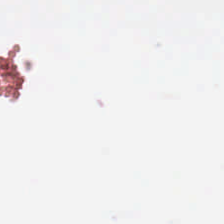Histology — background.
